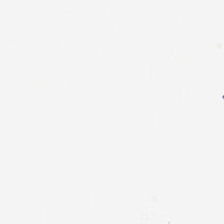H&E-stained tissue section.
This field is background (no tissue).
